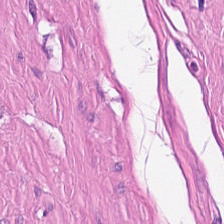H&E.
Q: Classify this patch.
A: This is smooth muscle.
